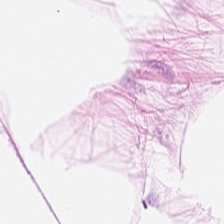20× equivalent magnification. 224×224 pixel tile. H&E stain.
This patch shows fat tissue.
